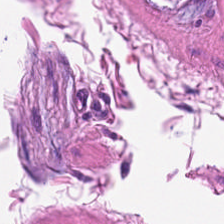H&E-stained tissue section. 0.5 µm/px.
Q: What is shown in this field?
A: The field shows smooth-muscle tissue.
